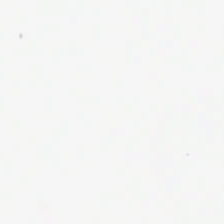Stain: hematoxylin-and-eosin stained section.
Content: background.
